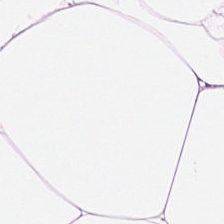Predominantly adipose tissue.
